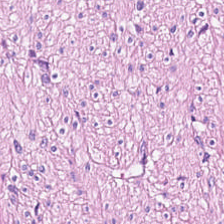H&E. Tissue type — smooth-muscle tissue.
